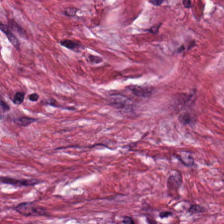0.5 µm/px; FFPE; hematoxylin and eosin.
The tissue type is cancer-associated stroma.
